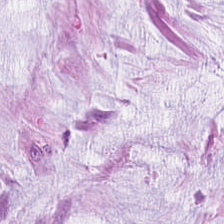Stain: H&E.
Preparation: FFPE.
Tissue class: mucin.
